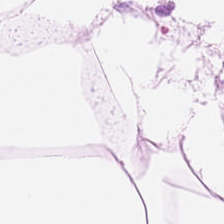Hematoxylin and eosin · 20× equivalent magnification — The tissue here is adipose.
